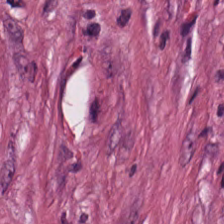WSI patch; 20× equivalent magnification; H&E stain. Q: What tissue type is shown here?
A: This is tumor-associated stroma.
